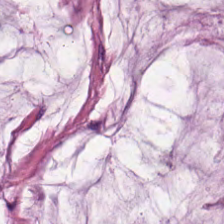H&E.
Predominant tissue = extracellular mucin.
